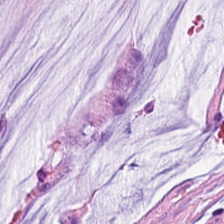Hematoxylin-and-eosin stained section.
Tissue: mucus.
